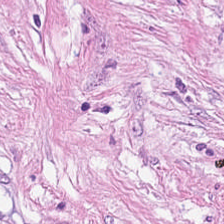H&E-stained tissue section — Showing tumor stroma.
